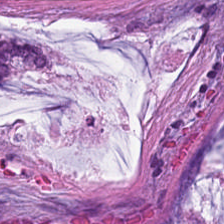Hematoxylin and eosin. Q: What is shown in this field?
A: Extracellular mucin.
